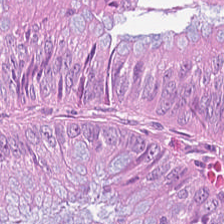H&E stain; 0.5 µm/px.
Predominantly colorectal adenocarcinoma.
